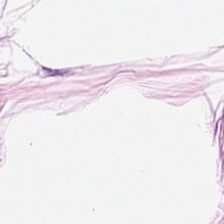H&E-stained tissue section. Whole-slide-image patch. 20× equivalent magnification — Finding — adipose tissue.
